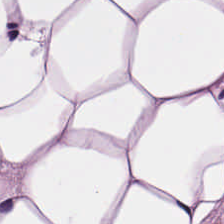H&E · formalin-fixed paraffin-embedded section. The classification is adipose tissue.
